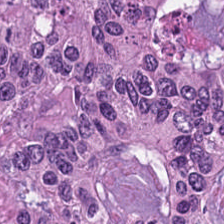H&E. Tumor epithelium.
